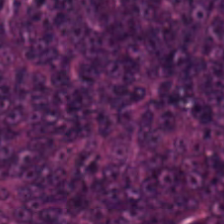Stain: H&E.
Tissue class: adenocarcinoma.
